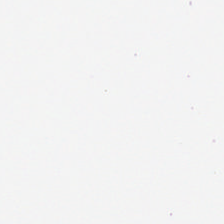The content is no tissue.
